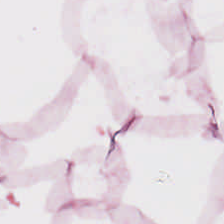H&E — Tissue: adipocytes.
